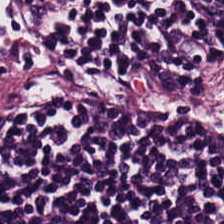Hematoxylin-and-eosin stained section · 0.5 µm/px.
Lymphocyte aggregate.
